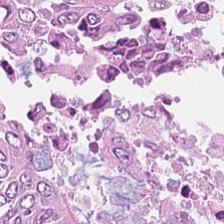20× equivalent magnification · H&E · formalin-fixed paraffin-embedded section.
The predominant tissue is malignant epithelium.
